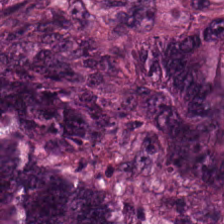0.5 microns per pixel; brightfield microscopy; H&E stain. Classification — tumor epithelium.
